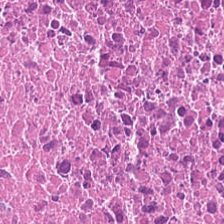H&E stain.
Finding → debris.
